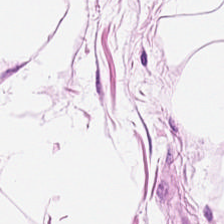Hematoxylin-and-eosin stained section · 0.5 µm per pixel — Showing adipose tissue.
